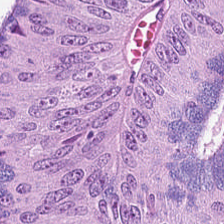20× equivalent magnification; hematoxylin-and-eosin stained section — This field is malignant epithelium.
